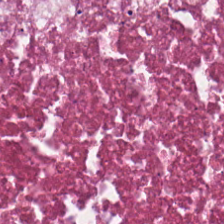H&E. Showing necrotic debris.
